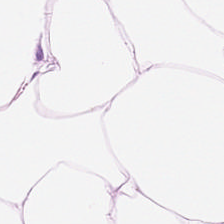H&E stain — Finding → adipose.
